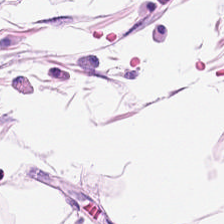FFPE tissue section; hematoxylin and eosin. The predominant tissue is adipocytes.
